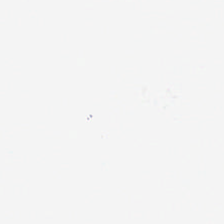Q: What is shown here?
A: It is no tissue.
